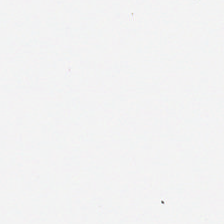H&E stain — Field content — empty background.
